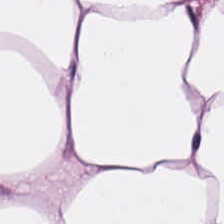Predominant tissue = adipose.
